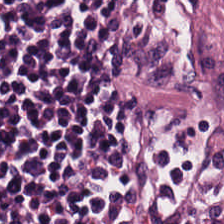H&E-stained tissue section.
The predominant tissue is lymphocytes.
